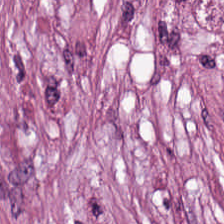0.5 microns per pixel · H&E — The predominant tissue is tumor-associated stroma.
